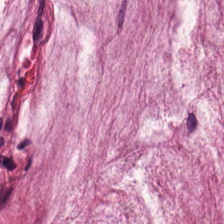FFPE tissue section · H&E.
Mucin.
